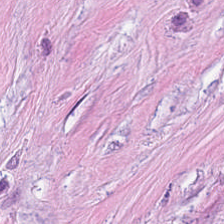224×224 px tile. Brightfield. H&E stain — {"tissue_type": "cancer-associated stroma"}
